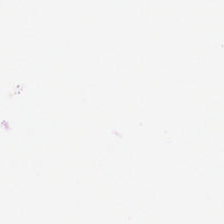Field content = background (no tissue).
